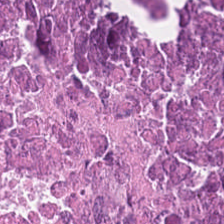Hematoxylin and eosin; 0.5 µm/px — The tissue here is necrotic debris.
